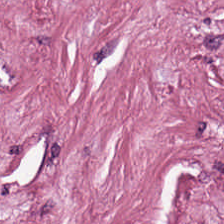224×224 pixel tile; hematoxylin and eosin. Predominantly tumor stroma.
